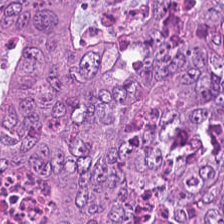Q: What tissue is shown?
A: This is tumor epithelium.
